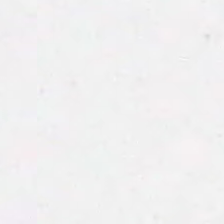Stain: H&E.
Field content: no tissue.
